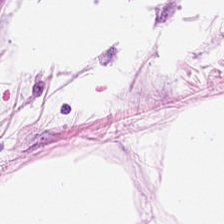H&E — Finding — adipocytes.
